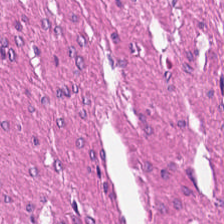Q: What tissue is shown?
A: The field shows smooth muscle.
